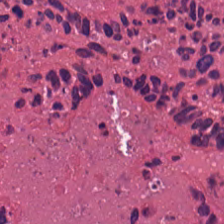H&E — Histology — cellular debris.
